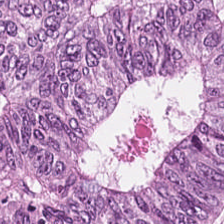Formalin-fixed paraffin-embedded section; H&E.
The classification is tumor epithelium.
